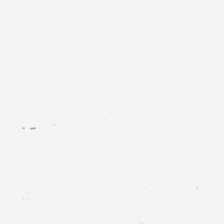This field is background (no tissue).
